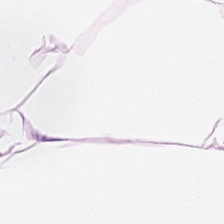H&E-stained tissue section.
Classification = adipose.
